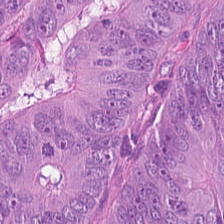Hematoxylin and eosin.
Tissue type: tumor epithelium.
